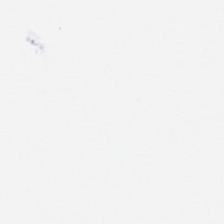H&E stain. No tissue present; background only.
